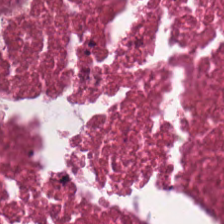H&E · FFPE · 224×224 pixel tile. Q: What is the predominant tissue type?
A: Debris.
